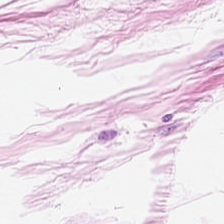20× equivalent magnification; H&E. Predominant tissue = adipose.
